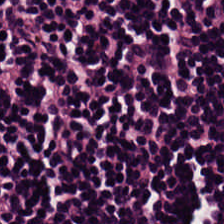Impression → lymphocytes.
